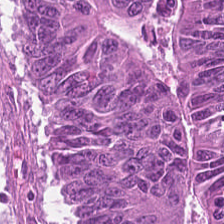Stain: H&E.
Resolution: 0.5 µm/px.
Acquisition: brightfield.
Tissue: colorectal adenocarcinoma.
